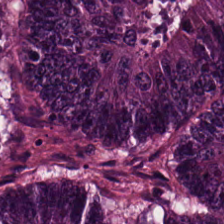Hematoxylin and eosin.
Predominantly tumor epithelium.
